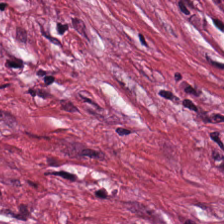H&E-stained tissue section showing cancer-associated stroma.
